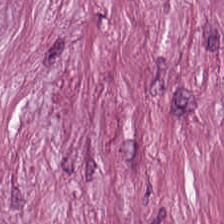H&E-stained tissue section · 224×224 pixel tile · WSI patch. The predominant tissue is tumor stroma.
